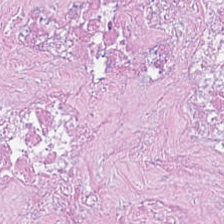Whole-slide-image patch · FFPE tissue section · hematoxylin-and-eosin stained section.
The tissue type is necrotic debris.
